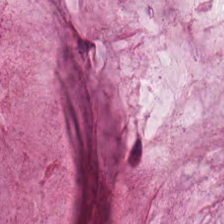Tissue type — mucus.
